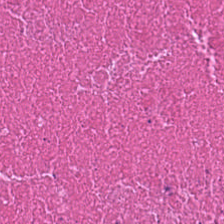224×224 px tile; 0.5 microns per pixel; H&E. The classification is necrotic debris.
